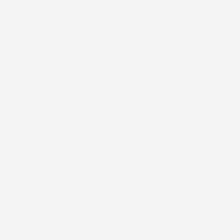Q: What does this patch show?
A: The field shows empty background.
